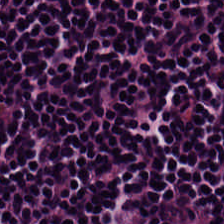Q: Identify the tissue.
A: The field shows lymphoid infiltrate.
